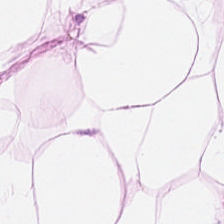Stain: hematoxylin and eosin.
Tissue type: adipose tissue.
